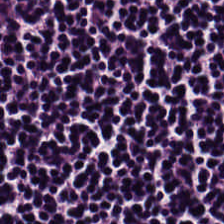Q: What tissue is shown?
A: It is lymphocytic infiltrate.
